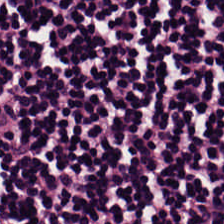Formalin-fixed paraffin-embedded section; 20× equivalent magnification; hematoxylin-and-eosin stained section — Tissue class — lymphocytes.
